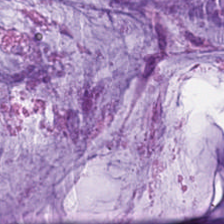H&E-stained tissue section — This field is mucin.
